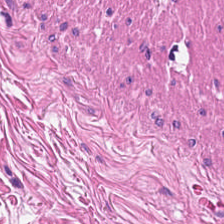H&E-stained tissue section — The predominant tissue is muscularis.
